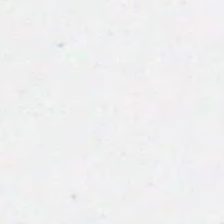Hematoxylin-and-eosin stained section. 0.5 microns per pixel. 224×224 px patch — This patch shows background (no tissue).
